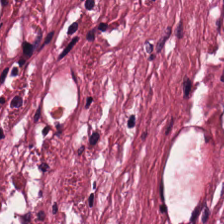Hematoxylin and eosin; whole-slide-image patch. Q: What is shown here?
A: This is tumor stroma.
